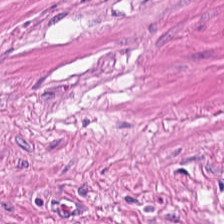Stain: H&E.
Tissue class: muscularis.
